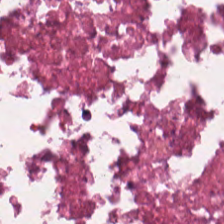The tissue type is debris.
